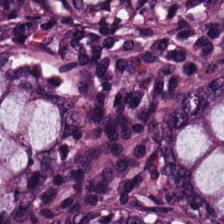Hematoxylin and eosin.
Tissue — non-neoplastic colon mucosa.
